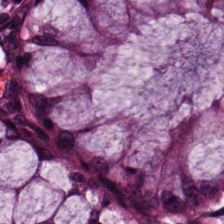H&E stain — This field is benign colonic mucosa.
